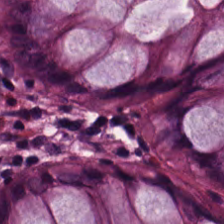Hematoxylin-and-eosin stained section. The classification is non-neoplastic colon mucosa.
